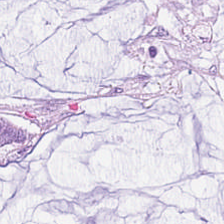The tissue class is mucin.
